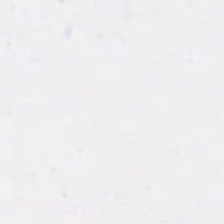0.5 µm per pixel · H&E stain.
Histology — empty background.
